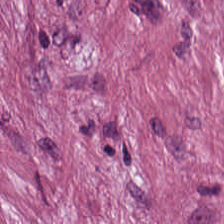FFPE tissue section · H&E stain. Tissue class = tumor-associated stroma.
